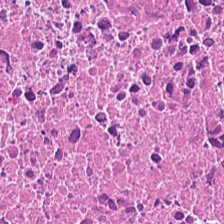H&E · formalin-fixed paraffin-embedded section · WSI patch. {"tissue_type": "necrotic debris"}
